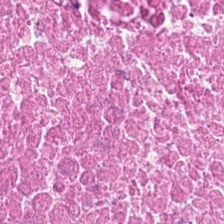0.5 µm per pixel. FFPE. Hematoxylin-and-eosin stained section — The predominant tissue is debris.
